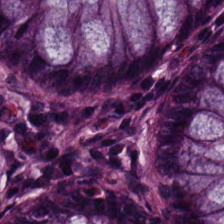H&E — Tissue type = non-neoplastic colon mucosa.
